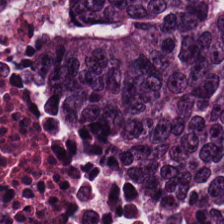Stain: H&E stain.
Preparation: FFPE tissue section.
Tile size: 224×224 px tile.
Tissue class: tumor epithelium.
